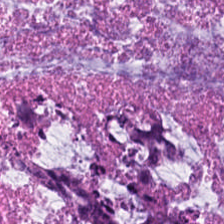H&E; brightfield; 0.5 µm per pixel.
The predominant tissue is mucus.
